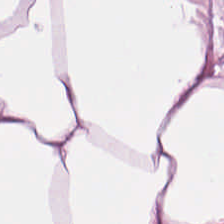Hematoxylin and eosin · FFPE · brightfield microscopy — This patch shows adipose.
